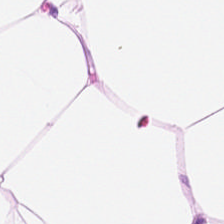H&E stain. Histology → fat tissue.
